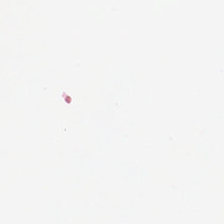Hematoxylin-and-eosin stained section. No tissue.
